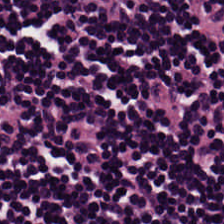FFPE tissue section; hematoxylin and eosin. Q: What type of tissue is this?
A: The field shows lymphoid infiltrate.
